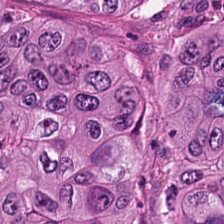H&E stain.
Tissue type = malignant epithelium.
